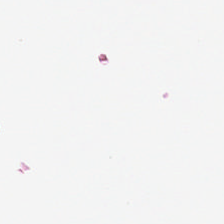Brightfield. H&E-stained tissue section. Empty field — background.
